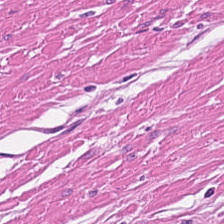Stain: H&E-stained tissue section.
Predominant tissue: muscularis.
